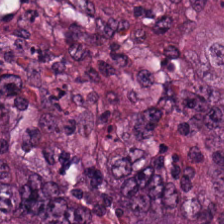The predominant tissue is adenocarcinoma.
